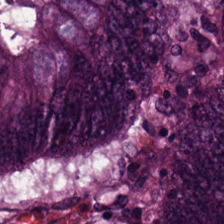Hematoxylin and eosin. 224×224 px patch. Showing tumor epithelium.
